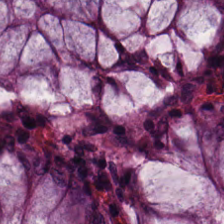H&E.
Normal colonic mucosa.
